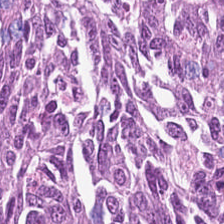H&E stain.
Classification: malignant epithelium.
